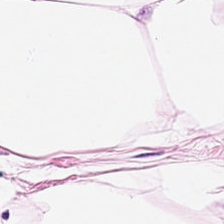224×224 px tile · H&E stain · brightfield.
This patch shows fat tissue.
